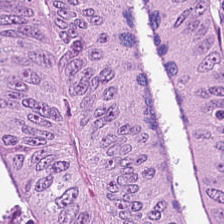H&E; FFPE; WSI patch. Tissue class — colorectal adenocarcinoma epithelium.
